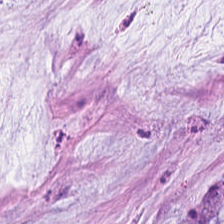Histology → mucin.
